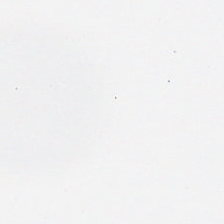H&E-stained tissue section — Q: Classify this patch.
A: This is background.
